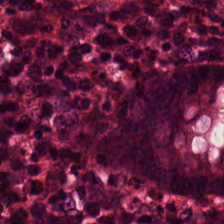224×224 pixel tile · brightfield · H&E-stained tissue section — Predominantly non-neoplastic colon mucosa.
